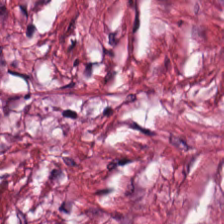Hematoxylin and eosin — Predominant tissue = desmoplastic stroma.
